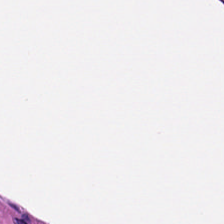Stain: H&E stain.
Acquisition: WSI patch.
Preparation: formalin-fixed paraffin-embedded section.
Tissue class: muscularis.
